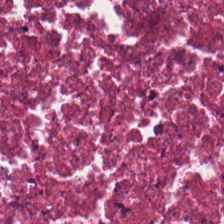Brightfield · hematoxylin and eosin.
Tissue — cellular debris.
